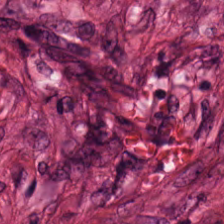Formalin-fixed paraffin-embedded section; H&E stain; 224×224 px tile. Q: What tissue type is shown here?
A: This is cancer-associated stroma.
